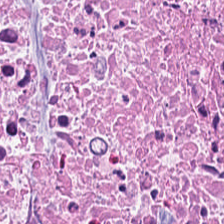H&E stain.
Finding — debris.
